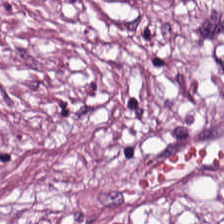0.5 µm/px. Whole-slide-image patch. H&E-stained tissue section. Showing cancer-associated stroma.
